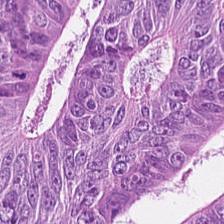Stain: H&E-stained tissue section.
Acquisition: whole-slide-image patch.
Resolution: 0.5 microns per pixel.
Tissue class: adenocarcinoma.
